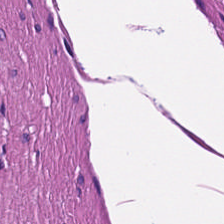H&E stain.
Q: What is shown here?
A: This is smooth-muscle tissue.
